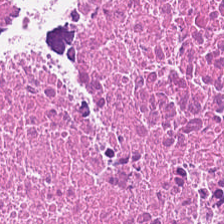H&E · 224×224 px patch · FFPE tissue section. This patch shows debris.
